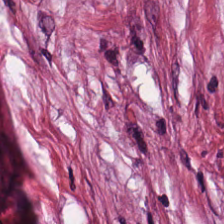Hematoxylin and eosin. The predominant tissue is cancer-associated stroma.
